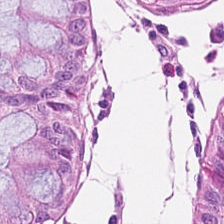This field is normal colon mucosa.
